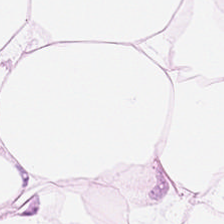H&E-stained tissue section · formalin-fixed paraffin-embedded section — Tissue type: adipose.
